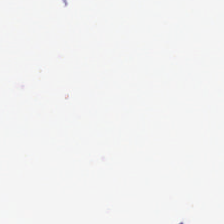H&E stain — {"content": "empty background"}
